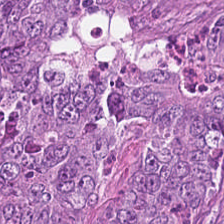H&E.
The tissue here is malignant epithelium.
